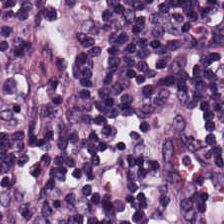H&E-stained tissue section.
{"tissue_type": "lymphocyte aggregate"}
